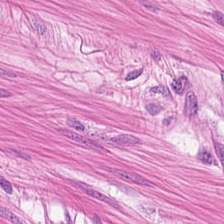Hematoxylin and eosin.
Predominantly smooth-muscle tissue.
